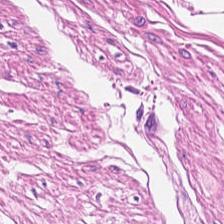Tissue: smooth muscle.
